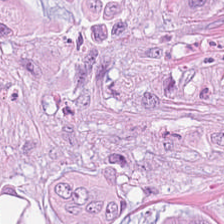H&E stain — Tissue class: malignant epithelium.
